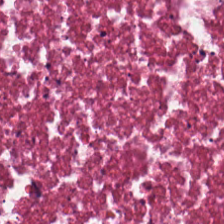Hematoxylin and eosin — Tissue type: necrotic debris.
